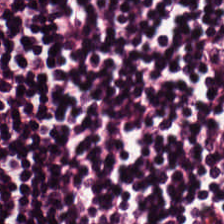Hematoxylin-and-eosin stained section.
This field is lymphocytic infiltrate.
